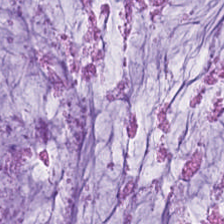Hematoxylin-and-eosin stained section.
This patch shows extracellular mucin.
